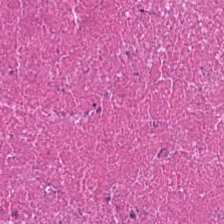H&E — Predominantly necrotic debris.
